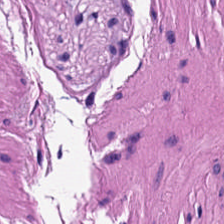H&E · whole-slide-image patch. Predominant tissue = smooth muscle.
